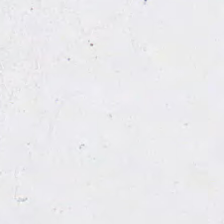H&E. 224×224 pixel tile. 0.5 µm/px.
Histology → background (no tissue).
